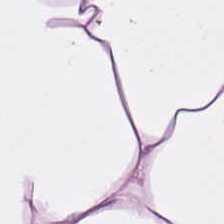Showing adipose tissue.
